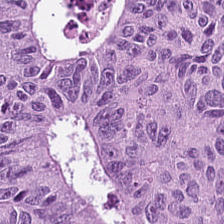H&E-stained tissue section.
Histology — malignant epithelium.
